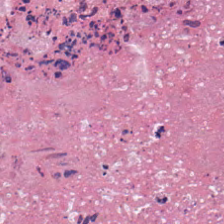Brightfield microscopy; H&E stain. The tissue is necrotic debris.
